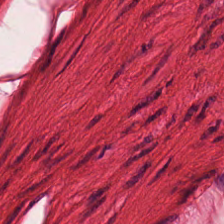0.5 µm per pixel. H&E. This field is smooth muscle.
